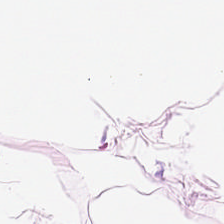Hematoxylin and eosin; 0.5 microns per pixel. Classification — adipocytes.
